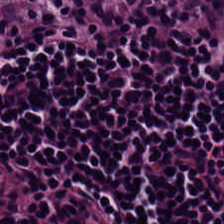The predominant tissue is lymphocyte aggregate.
